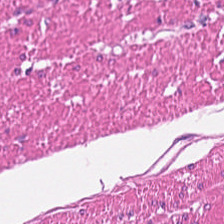H&E-stained tissue section.
Tissue type: muscularis.
